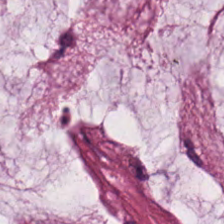H&E-stained tissue section. The tissue here is extracellular mucin.
